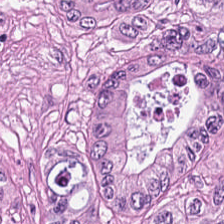Stain: H&E stain.
Acquisition: brightfield microscopy.
Classification: malignant epithelium.
